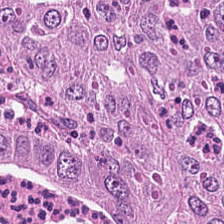WSI patch · H&E stain. The tissue here is colorectal adenocarcinoma.
